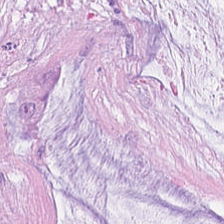Q: What is shown in this field?
A: The field shows extracellular mucin.
